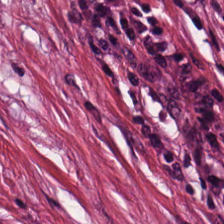{"tissue_type": "tumor stroma"}
